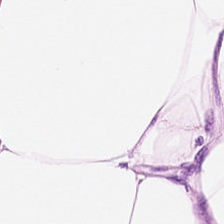Whole-slide-image patch · H&E-stained tissue section — Adipose.
